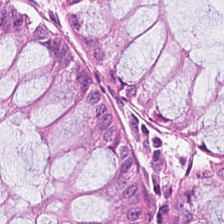Whole-slide-image patch; H&E stain; FFPE. The tissue here is non-neoplastic colon mucosa.
